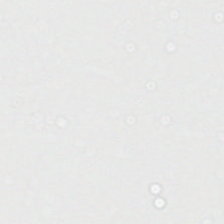Q: What is shown in this field?
A: This is background.
